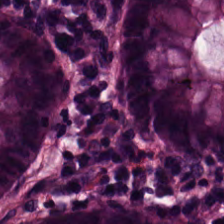Formalin-fixed paraffin-embedded section; 224×224 pixel tile; hematoxylin and eosin.
The predominant tissue is benign colonic mucosa.
